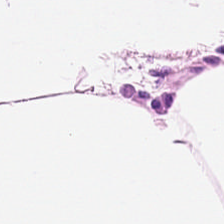H&E. 224×224 px patch — Impression → adipocytes.
